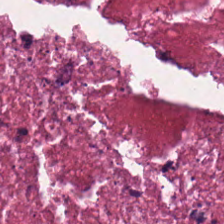Hematoxylin and eosin. 0.5 µm per pixel. The predominant tissue is necrotic debris.
